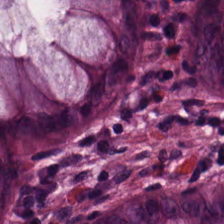H&E stain — Q: Classify this patch.
A: Normal colonic mucosa.
